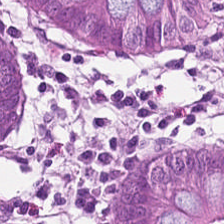H&E-stained tissue section; FFPE tissue section. Predominantly normal colonic mucosa.
